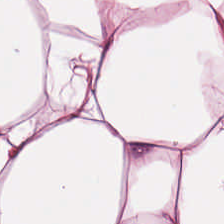Q: Identify the tissue.
A: It is adipocytes.
